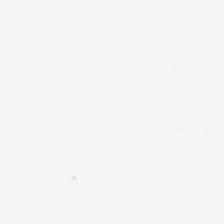Q: Classify this patch.
A: The field shows background.
